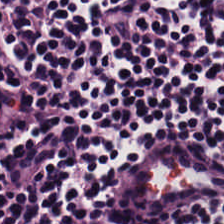Q: What is shown in this field?
A: Lymphoid infiltrate.
